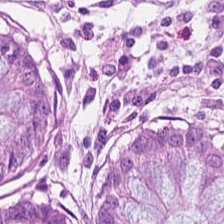Q: What is the predominant tissue type?
A: It is normal colonic mucosa.
